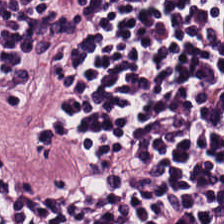H&E stain — Predominantly lymphocytic infiltrate.
